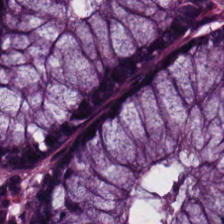224×224 pixel tile · H&E stain · 0.5 µm/px.
Tissue = normal colonic mucosa.
